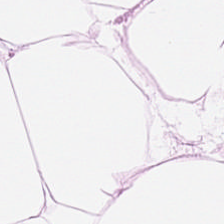Showing fat tissue.
